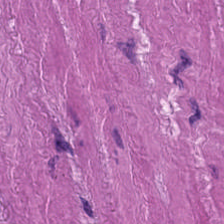20× equivalent magnification. H&E-stained tissue section — Histology → smooth muscle.
